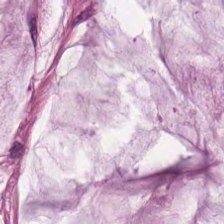H&E stain · 224×224 pixel tile.
Q: Identify the tissue.
A: The field shows mucin.
